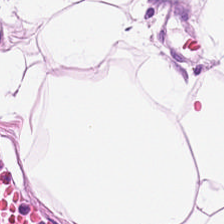{"tissue_type": "adipose tissue"}
